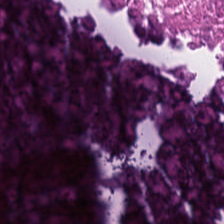H&E · 224×224 px patch.
Finding — debris.
